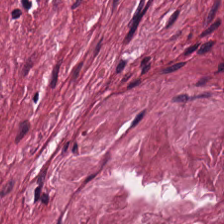The predominant tissue is tumor-associated stroma.
